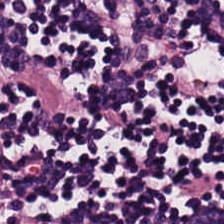Impression → lymphocyte aggregate.
